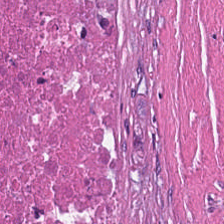Hematoxylin-and-eosin stained section. Q: What is shown here?
A: It is debris.
